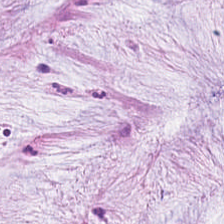H&E-stained tissue section.
Q: What tissue type is shown here?
A: Extracellular mucin.
